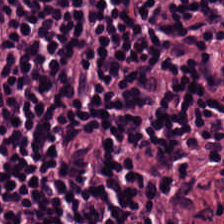Hematoxylin-and-eosin stained section.
Tissue type: lymphocyte aggregate.
